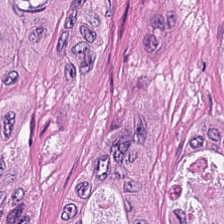H&E stain — The tissue class is tumor epithelium.
